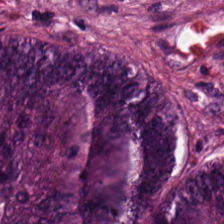Stain: H&E stain.
Tissue type: colorectal adenocarcinoma.
